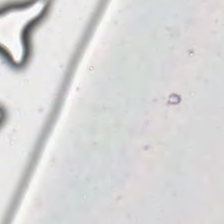H&E stain.
Q: What does this patch show?
A: It is background (no tissue).
